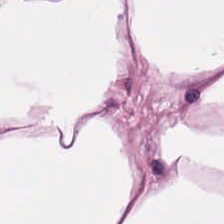Stain: H&E.
Tissue: fat tissue.
